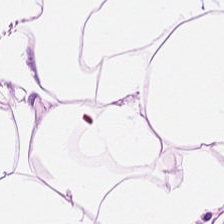H&E-stained tissue section — Showing adipose.
